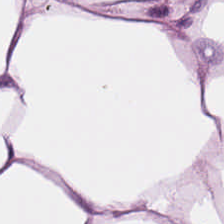Adipose.
